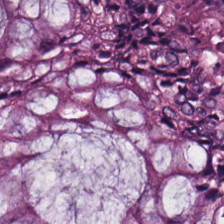Q: What does this patch show?
A: Normal colonic mucosa.
